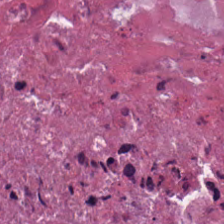H&E. {"tissue_type": "cellular debris"}
